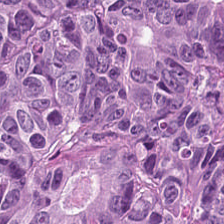H&E stain. Brightfield — Predominant tissue: colorectal adenocarcinoma.
